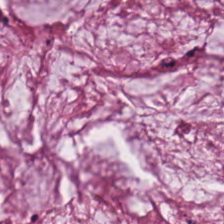H&E. FFPE — Mucin.
